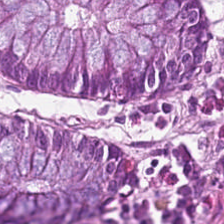H&E; 20× equivalent magnification; 224×224 pixel tile. Q: What type of tissue is this?
A: The field shows normal colon mucosa.
